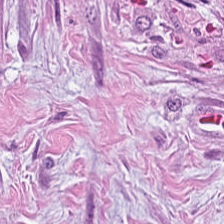H&E-stained tissue section. FFPE.
Q: What tissue is shown?
A: It is tumor stroma.
